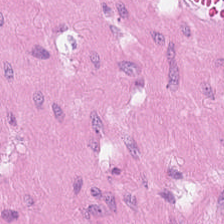H&E — Q: What type of tissue is this?
A: It is smooth-muscle tissue.
